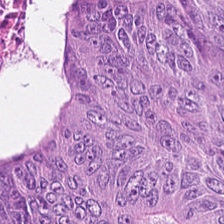Stain: H&E stain.
Tissue: colorectal adenocarcinoma.
